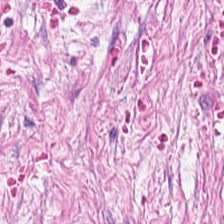224×224 pixel tile · H&E. Tissue: desmoplastic stroma.
